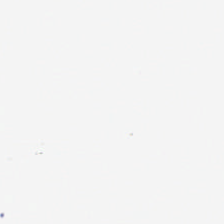H&E stain. Empty field — no tissue.
